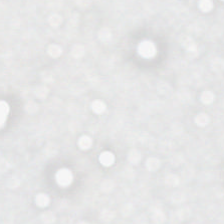H&E stain. 224×224 pixel tile. Brightfield.
Finding → empty background.
